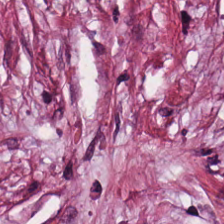H&E-stained tissue section · whole-slide-image patch.
This patch shows desmoplastic stroma.
